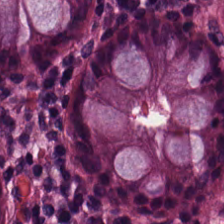Hematoxylin-and-eosin stained section; 224×224 pixel tile; formalin-fixed paraffin-embedded section.
Histology → normal colon mucosa.
